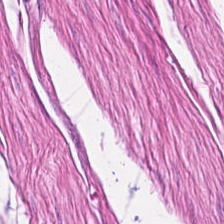Hematoxylin-and-eosin stained section.
Q: What tissue type is shown here?
A: Smooth-muscle tissue.
